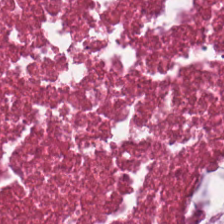Hematoxylin-and-eosin stained section. 224×224 px tile — The predominant tissue is debris.
